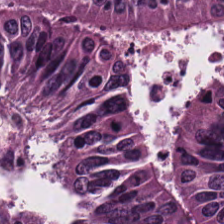Stain: H&E-stained tissue section.
Preparation: FFPE.
Resolution: 0.5 µm per pixel.
Tissue: tumor epithelium.
